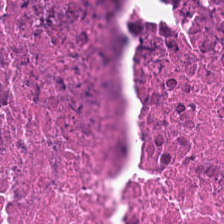Brightfield · H&E — {"tissue_type": "cellular debris"}
